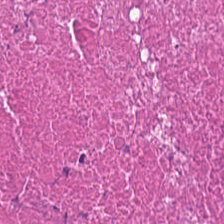H&E-stained tissue section · formalin-fixed paraffin-embedded section. Tissue class = necrotic debris.
